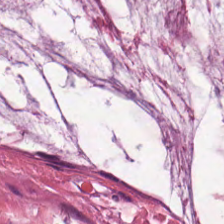Hematoxylin and eosin; FFPE.
Tissue: extracellular mucin.
